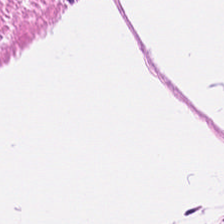H&E; 0.5 µm/px; brightfield microscopy.
Predominant tissue = muscularis.
